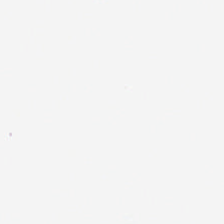H&E-stained tissue section. No tissue present; background only.
